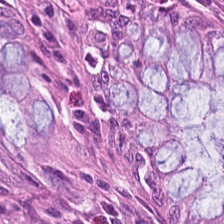Hematoxylin-and-eosin stained section. Impression — normal colon mucosa.
